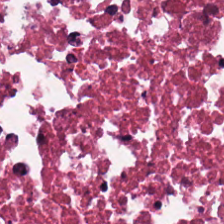224×224 px tile · hematoxylin-and-eosin stained section — Debris.
